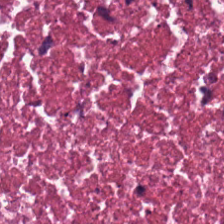H&E. Tissue type = debris.
